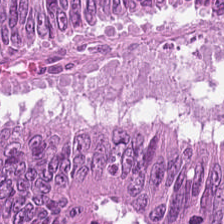Hematoxylin-and-eosin stained section.
This patch shows colorectal adenocarcinoma.
